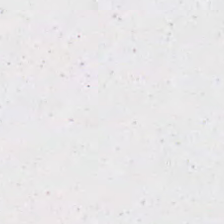224×224 px tile; H&E-stained tissue section; 0.5 µm/px.
Content — empty background.
